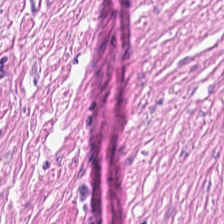Stain: hematoxylin and eosin.
Tissue class: smooth muscle.
